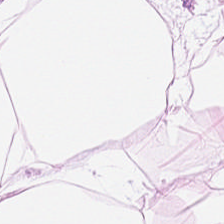Stain: H&E-stained tissue section.
Resolution: 0.5 µm per pixel.
Preparation: formalin-fixed paraffin-embedded section.
Tissue type: adipose tissue.
